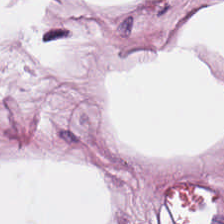Hematoxylin and eosin. Tissue type: adipose.
